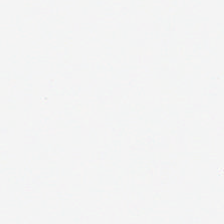224×224 px tile; 0.5 µm/px; H&E.
Background — no tissue in this field.
